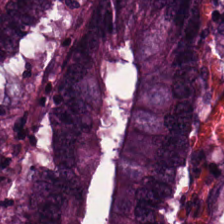H&E stain.
The predominant tissue is malignant epithelium.
